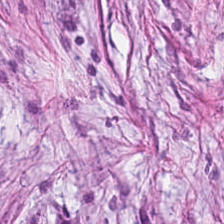Tissue type: cancer-associated stroma.
